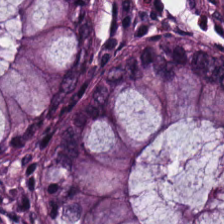{"tissue_type": "non-neoplastic colon mucosa"}
